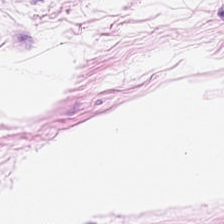Stain: H&E-stained tissue section.
Tissue class: adipocytes.
